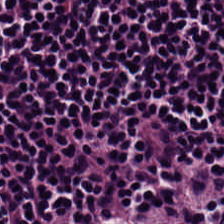H&E-stained tissue section.
Classification = lymphocytes.
